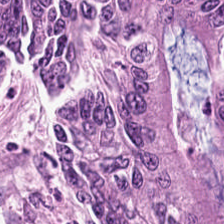H&E-stained tissue section; FFPE. The predominant tissue is tumor epithelium.
